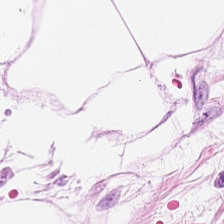Hematoxylin-and-eosin stained section. 224×224 pixel tile.
Showing adipocytes.
